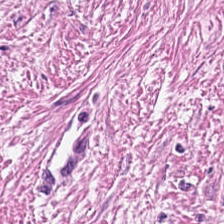Hematoxylin-and-eosin section: tumor stroma.
